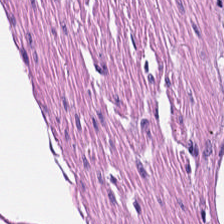Hematoxylin-and-eosin section: muscularis.
